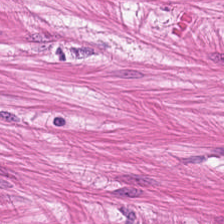Formalin-fixed paraffin-embedded section; H&E stain. Q: Classify this patch.
A: Smooth muscle.
